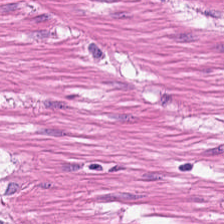Whole-slide-image patch · 0.5 microns per pixel · hematoxylin-and-eosin stained section.
This field is smooth muscle.
